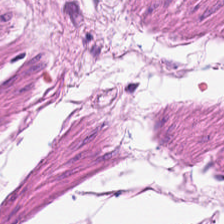H&E stain.
This patch shows smooth-muscle tissue.
